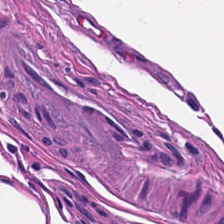Stain: H&E-stained tissue section.
Tissue type: smooth muscle.
